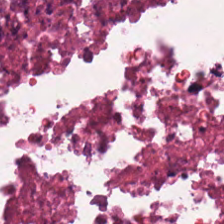H&E-stained tissue section. Classification = debris.
